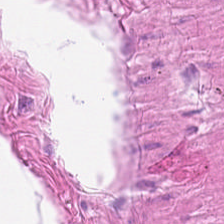Hematoxylin and eosin.
Q: What type of tissue is this?
A: This is smooth-muscle tissue.
